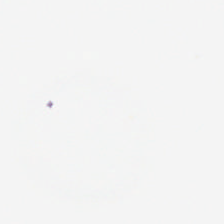H&E stain.
{"content": "empty background"}
